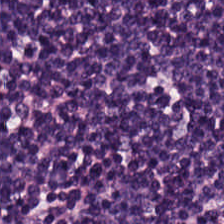Q: What tissue is shown?
A: Lymphocytic infiltrate.
